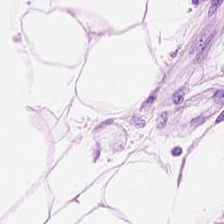H&E-stained tissue section — Predominantly adipose.
